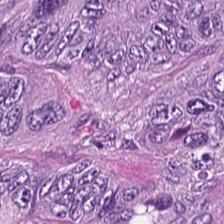This patch shows malignant epithelium.
